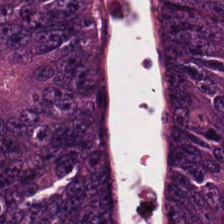Hematoxylin and eosin.
Q: Classify this patch.
A: This is malignant epithelium.
